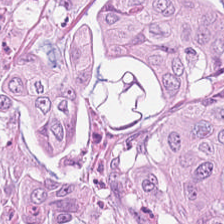H&E-stained tissue section.
This field is malignant epithelium.
